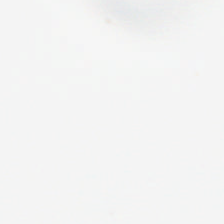Hematoxylin and eosin. FFPE tissue section. Brightfield. This field is background (no tissue).
